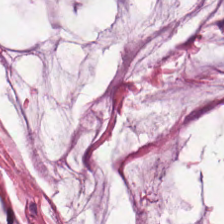H&E stain.
Mucus.
